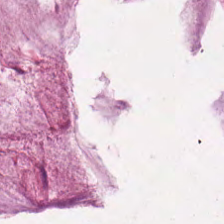H&E stain — Tissue type — extracellular mucin.
